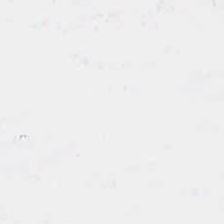224×224 px tile · H&E — The classification is background.
